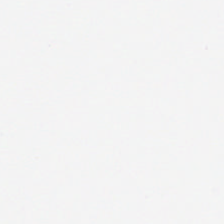The field content is background (no tissue).
